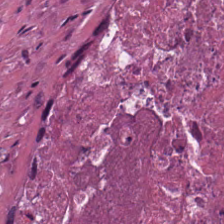Q: What type of tissue is this?
A: Cellular debris.
